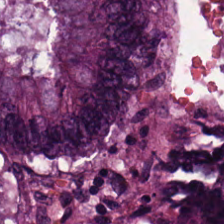20× equivalent magnification · H&E — Q: What tissue is shown?
A: This is colorectal adenocarcinoma epithelium.
